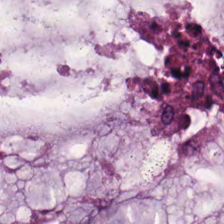Stain: H&E-stained tissue section.
Predominant tissue: mucus.
